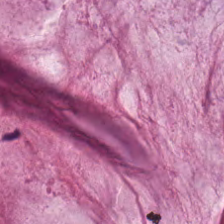224×224 px tile; H&E stain.
Predominantly extracellular mucin.
